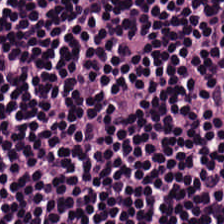H&E-stained tissue section.
The predominant tissue is lymphoid infiltrate.
